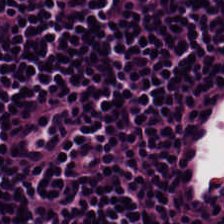Tissue class: lymphocytic infiltrate.
